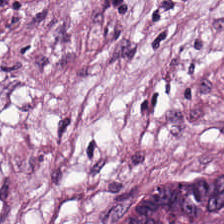Stain: hematoxylin and eosin.
Classification: cancer-associated stroma.
